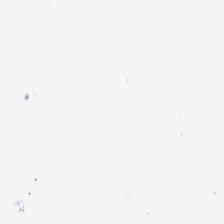Hematoxylin and eosin. This patch shows empty background.
